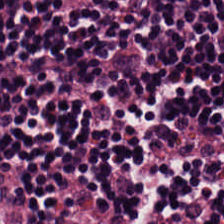Brightfield microscopy · hematoxylin-and-eosin stained section · FFPE.
The tissue is lymphoid infiltrate.
